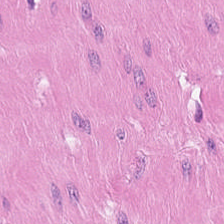H&E patch showing smooth-muscle tissue.
